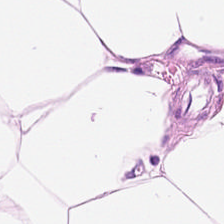H&E patch showing adipose tissue.
